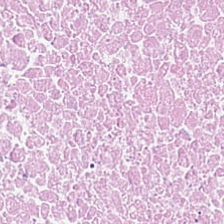H&E stain · brightfield microscopy · 224×224 px tile.
The predominant tissue is cellular debris.
